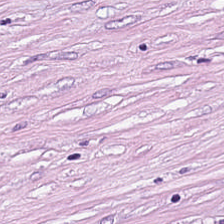Stain: H&E-stained tissue section.
Acquisition: brightfield.
Tissue type: tumor stroma.
